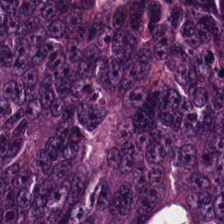WSI patch. Hematoxylin-and-eosin stained section. 224×224 pixel tile. The tissue class is malignant epithelium.
